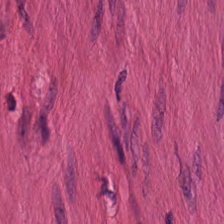H&E-stained tissue section — Histology — smooth-muscle tissue.
